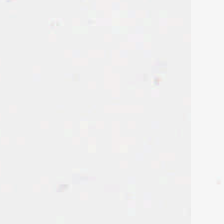H&E.
Q: What is shown here?
A: Background.
